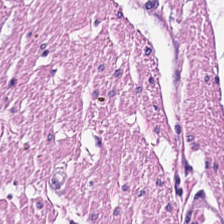The tissue type is smooth muscle.
